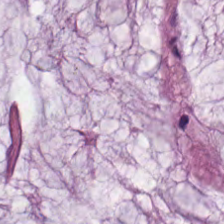Histology → extracellular mucin.
